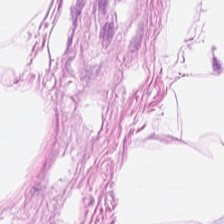H&E · 224×224 px tile · brightfield microscopy.
Histology — fat tissue.
